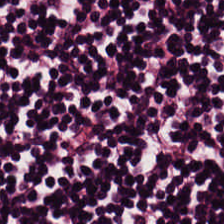H&E — Lymphoid infiltrate.
